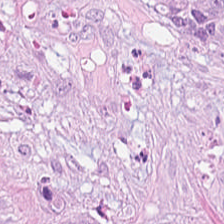0.5 microns per pixel; H&E stain — Showing adenocarcinoma.
